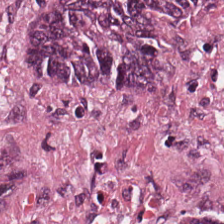H&E. Formalin-fixed paraffin-embedded section. 20× equivalent magnification — Tissue type: tumor epithelium.
